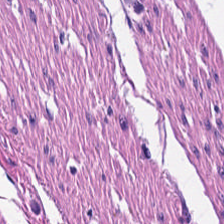Hematoxylin and eosin.
Tissue class — smooth-muscle tissue.
